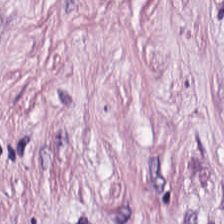H&E stain — The classification is tumor-associated stroma.
